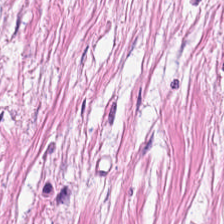H&E-stained tissue section. Classification = cancer-associated stroma.
